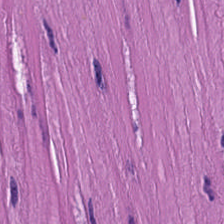Whole-slide-image patch. Formalin-fixed paraffin-embedded section. H&E stain. Impression → smooth muscle.
